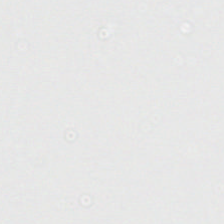H&E-stained tissue section · 20× equivalent magnification — Field content = background (no tissue).
